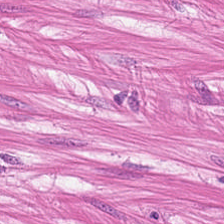WSI patch · H&E-stained tissue section · 224×224 px patch. Predominantly muscularis.
